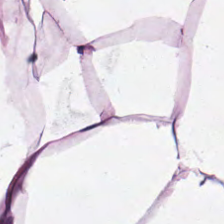Tissue type: adipose.
